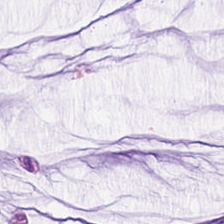H&E-stained tissue section. Impression → extracellular mucin.
